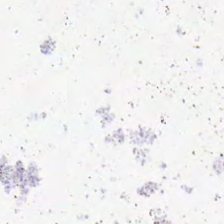H&E stain. Q: What is shown here?
A: Empty background.
